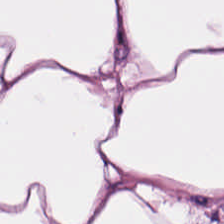Hematoxylin-and-eosin stained section.
Q: Identify the tissue.
A: Adipose.
